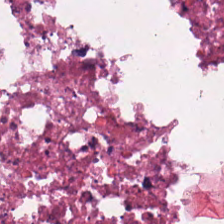Hematoxylin and eosin. Necrotic debris.
